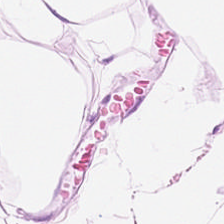H&E-stained tissue section. 224×224 px tile. FFPE tissue section — Q: What type of tissue is this?
A: The field shows adipocytes.
